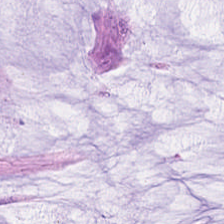H&E-stained section; the field shows mucin.
